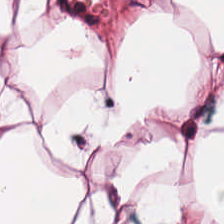H&E — {"tissue_type": "fat tissue"}
